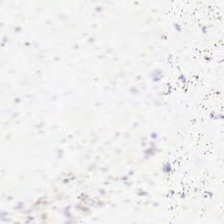H&E stain.
Background (no tissue).
